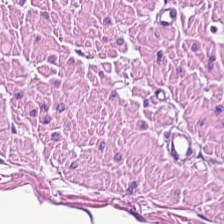H&E stain — Tissue type = muscularis.
